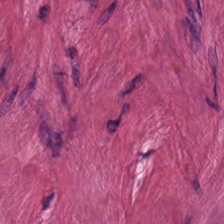Hematoxylin and eosin — Finding — muscularis.
